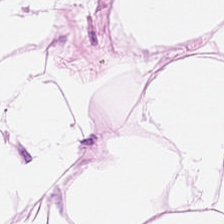Hematoxylin and eosin. The classification is adipose.
